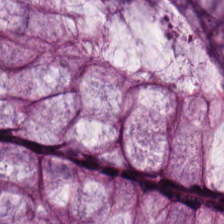H&E — Classification: non-neoplastic colon mucosa.
